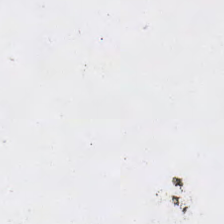0.5 µm per pixel; H&E stain — The field content is no tissue.
